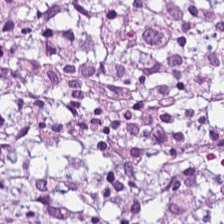Tissue class: cancer-associated stroma.
